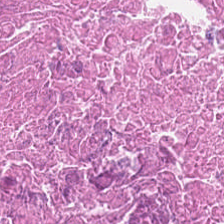H&E — Predominantly necrotic debris.
